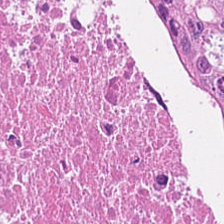H&E-stained tissue section; FFPE tissue section. The tissue type is debris.
